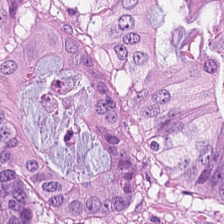Hematoxylin and eosin.
Tissue class — malignant epithelium.
